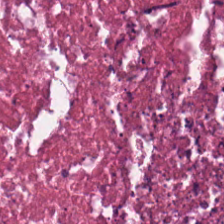Whole-slide-image patch. 20× equivalent magnification. H&E — Finding — debris.
